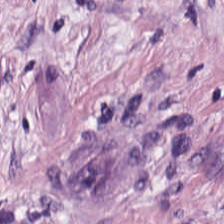H&E stain. Histology — cancer-associated stroma.
